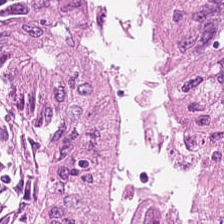Predominantly adenocarcinoma.
